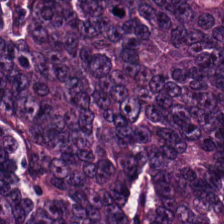H&E stain. Predominantly colorectal adenocarcinoma epithelium.
